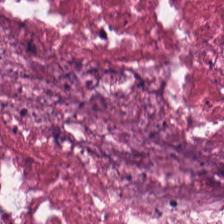224×224 pixel tile · H&E stain. Histology — cellular debris.
